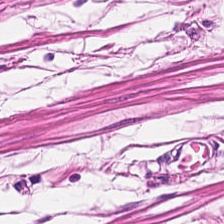This patch shows muscularis.
